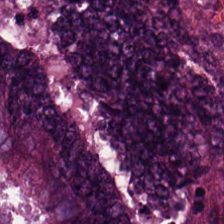Classification — malignant epithelium.
